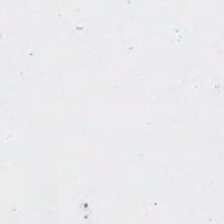WSI patch; FFPE tissue section; H&E-stained tissue section.
This field is background (no tissue).
